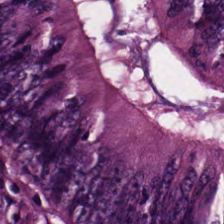224×224 pixel tile. 0.5 µm per pixel. Hematoxylin and eosin. Adenocarcinoma.
